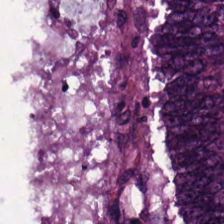Stain: hematoxylin and eosin.
Tissue: colorectal adenocarcinoma.
